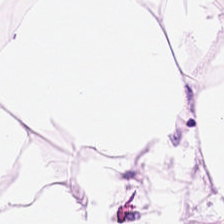FFPE; hematoxylin-and-eosin stained section. Histology → fat tissue.
